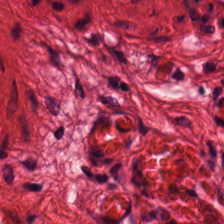H&E · FFPE tissue section — The tissue type is muscularis.
